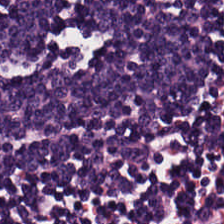WSI patch · hematoxylin-and-eosin stained section.
Showing lymphocytic infiltrate.
